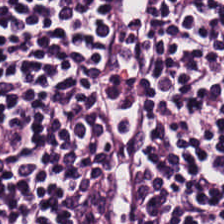Hematoxylin and eosin — Predominantly lymphocytic infiltrate.
